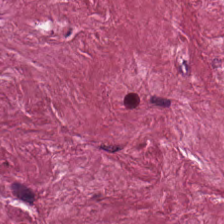Formalin-fixed paraffin-embedded section. Hematoxylin and eosin. Brightfield microscopy. Predominantly cancer-associated stroma.
